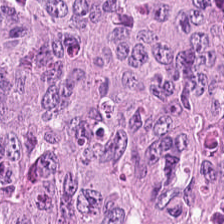H&E; brightfield microscopy — The tissue type is colorectal adenocarcinoma.
